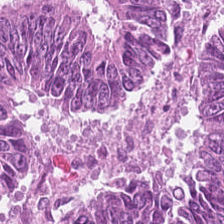H&E. Predominantly adenocarcinoma.
